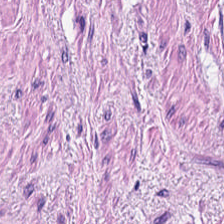H&E-stained section; the field shows muscularis.
